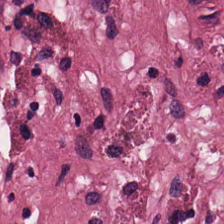H&E stain. The predominant tissue is cancer-associated stroma.
